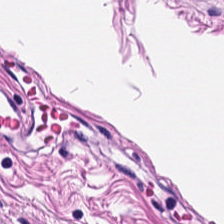Stain: H&E stain.
Resolution: 0.5 µm/px.
Tissue type: muscularis.
